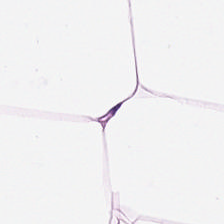Stain: H&E stain.
Tile size: 224×224 px tile.
Classification: adipose.
